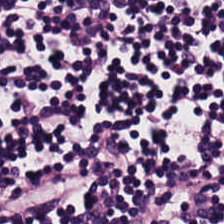224×224 pixel tile · hematoxylin-and-eosin stained section.
Q: Identify the tissue.
A: Lymphoid infiltrate.
